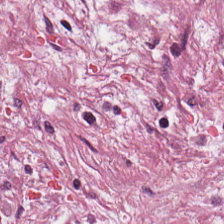Classification: cancer-associated stroma.
